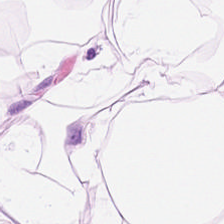H&E. Whole-slide-image patch — Impression — fat tissue.
